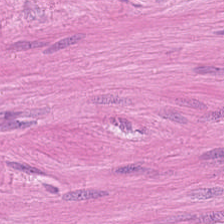224×224 px patch. Hematoxylin and eosin. Brightfield microscopy.
Impression → smooth-muscle tissue.
